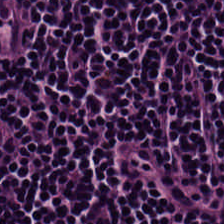H&E stain.
The tissue here is lymphocytic infiltrate.
